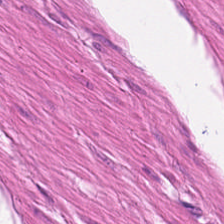Stain: hematoxylin-and-eosin stained section.
Tissue type: smooth-muscle tissue.
